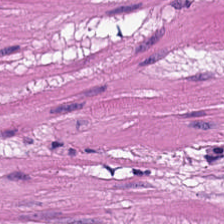H&E-stained tissue section. FFPE — Showing muscularis.
